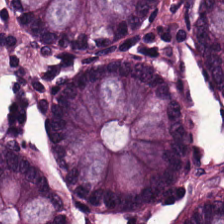Brightfield; H&E stain — The tissue here is benign colonic mucosa.
